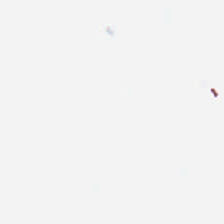Hematoxylin-and-eosin stained section · WSI patch.
This field is background (no tissue).
